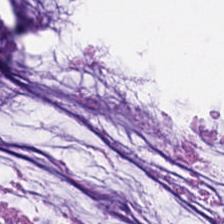Hematoxylin and eosin. Showing mucus.
